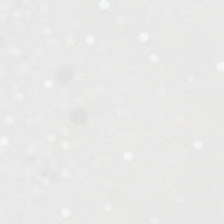224×224 px patch. 20× equivalent magnification. H&E stain. This field is background (no tissue).
